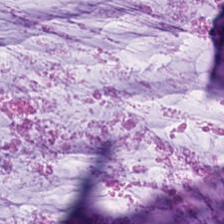H&E-stained tissue section. 0.5 µm per pixel — Q: Identify the tissue.
A: This is extracellular mucin.
